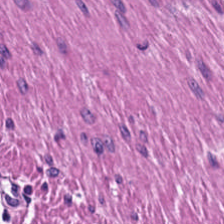0.5 µm/px; brightfield; hematoxylin-and-eosin stained section. Tissue = smooth muscle.
